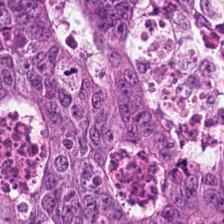Hematoxylin and eosin — {"tissue_type": "malignant epithelium"}
